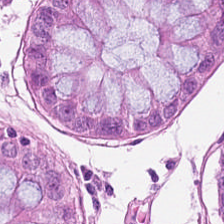H&E-stained tissue section · formalin-fixed paraffin-embedded section · 0.5 microns per pixel. {"tissue_type": "non-neoplastic colon mucosa"}
